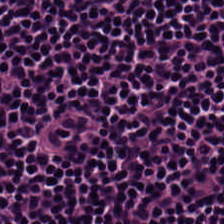H&E stain. Brightfield microscopy.
Classification: lymphocytic infiltrate.
